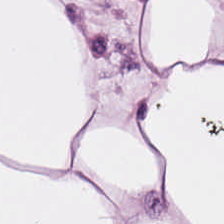H&E stain. 20× equivalent magnification. 224×224 pixel tile — Tissue: fat tissue.
